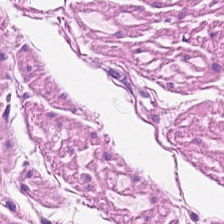Brightfield. FFPE tissue section. H&E-stained tissue section — Q: What type of tissue is this?
A: It is muscularis.
